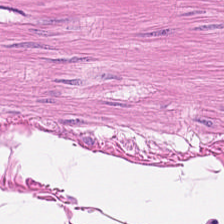Stain: hematoxylin-and-eosin stained section.
Tissue type: smooth-muscle tissue.
